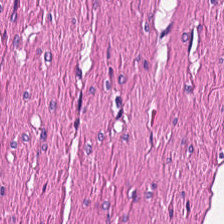Predominantly smooth-muscle tissue.
